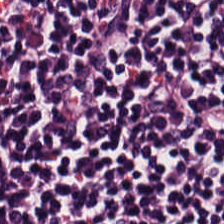Hematoxylin and eosin; 0.5 microns per pixel; FFPE tissue section. Histology → lymphoid infiltrate.
